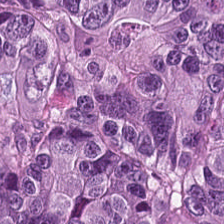H&E stain. 224×224 px tile. Formalin-fixed paraffin-embedded section.
The predominant tissue is adenocarcinoma.
